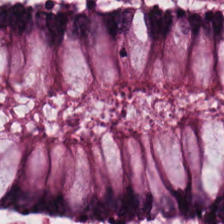H&E-stained tissue section showing normal colon mucosa.
